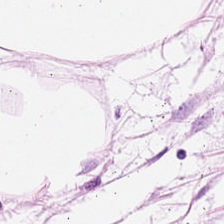H&E-stained tissue section — This patch shows fat tissue.
